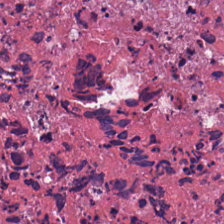Hematoxylin-and-eosin stained section — Classification = cellular debris.
